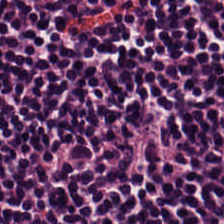H&E-stained tissue section.
Predominantly lymphoid infiltrate.
